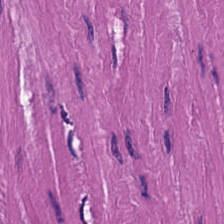224×224 pixel tile; 20× equivalent magnification; hematoxylin and eosin — {"tissue_type": "smooth-muscle tissue"}
